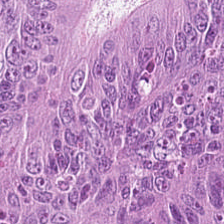Hematoxylin and eosin.
Q: What does this patch show?
A: This is colorectal adenocarcinoma epithelium.
